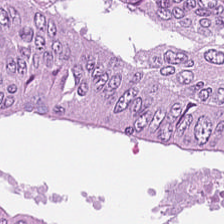H&E stain · FFPE tissue section. Malignant epithelium.
